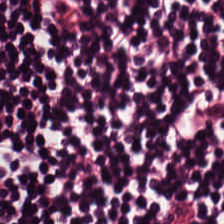This field is lymphoid infiltrate.
